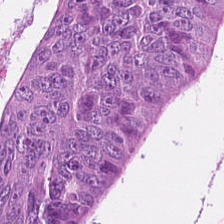Formalin-fixed paraffin-embedded section · hematoxylin and eosin · 0.5 µm/px.
Tissue: malignant epithelium.
